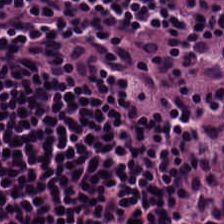Hematoxylin and eosin; 224×224 pixel tile.
{"tissue_type": "lymphocytes"}
